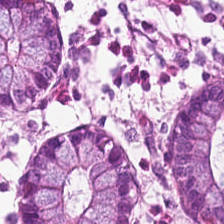H&E.
Tissue class — normal colonic mucosa.
